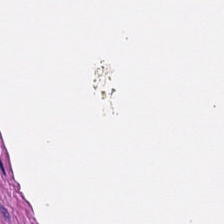Formalin-fixed paraffin-embedded section. H&E stain.
Predominantly muscularis.
